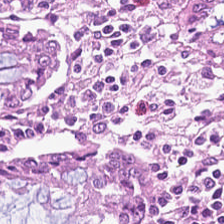WSI patch · H&E-stained tissue section · 0.5 µm/px — Q: Classify this patch.
A: It is benign colonic mucosa.
